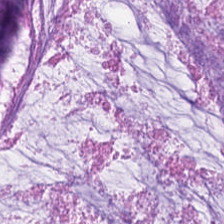H&E stain. Showing mucin.
